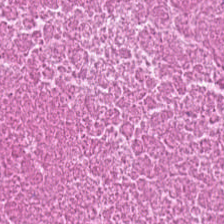H&E stain — This field is cellular debris.
